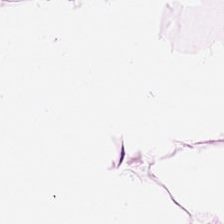Predominantly adipose tissue.
